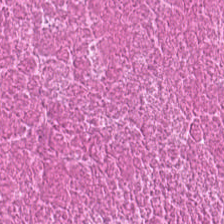Hematoxylin-and-eosin stained section. Predominantly necrotic debris.
